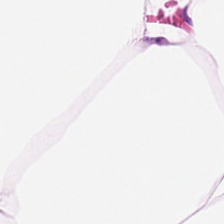H&E; FFPE — Impression → adipose tissue.
